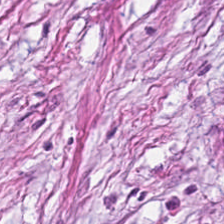Stain: H&E stain.
Preparation: FFPE tissue section.
Tissue type: tumor stroma.
